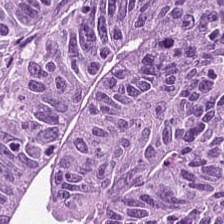H&E stain; whole-slide-image patch.
Tissue = tumor epithelium.
